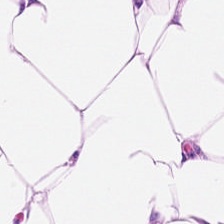FFPE; hematoxylin and eosin. Impression → adipocytes.
